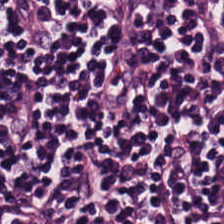Formalin-fixed paraffin-embedded section; hematoxylin-and-eosin stained section; 224×224 px tile.
Q: What tissue type is shown here?
A: Lymphocytes.
